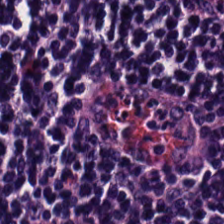20× equivalent magnification. H&E-stained tissue section. Predominant tissue — lymphocytes.
